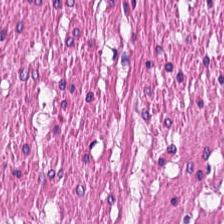224×224 px tile · H&E stain — {"tissue_type": "smooth muscle"}
